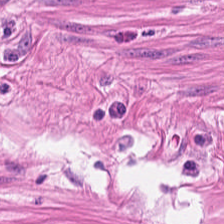The tissue here is muscularis.
